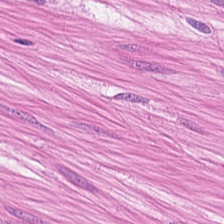Stain: hematoxylin and eosin.
Tile size: 224×224 px patch.
Acquisition: WSI patch.
Tissue type: smooth muscle.
